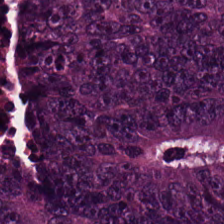224×224 pixel tile; H&E; formalin-fixed paraffin-embedded section.
This patch shows tumor epithelium.
